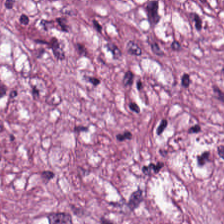Stain: H&E-stained tissue section.
Tissue type: desmoplastic stroma.
